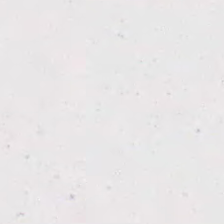Hematoxylin-and-eosin stained section; 0.5 µm per pixel; formalin-fixed paraffin-embedded section — Impression → background.
